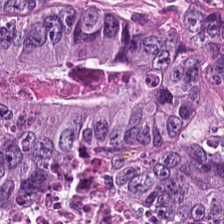Formalin-fixed paraffin-embedded section · whole-slide-image patch · H&E stain.
{"tissue_type": "adenocarcinoma"}
